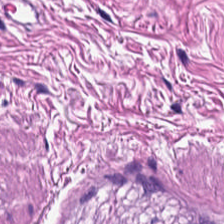Stain: H&E-stained tissue section.
Resolution: 0.5 µm/px.
Tissue type: smooth-muscle tissue.
